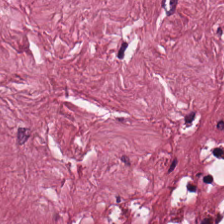H&E stain — Showing tumor stroma.
